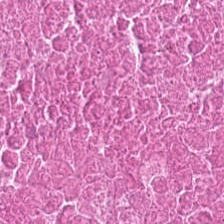Stain: H&E.
Preparation: FFPE tissue section.
Acquisition: whole-slide-image patch.
Classification: necrotic debris.
